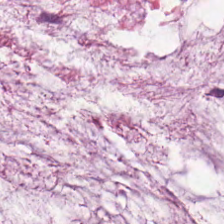Stain: hematoxylin and eosin.
Tile size: 224×224 pixel tile.
Acquisition: brightfield microscopy.
Classification: mucin.
